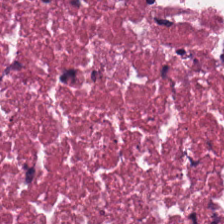20× equivalent magnification · H&E-stained tissue section. Tissue type: cellular debris.
